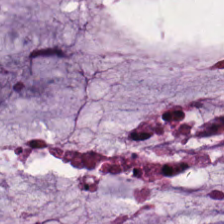Hematoxylin-and-eosin stained section — The tissue here is mucus.
